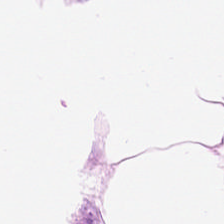Stain: hematoxylin-and-eosin stained section.
Predominant tissue: adipocytes.
